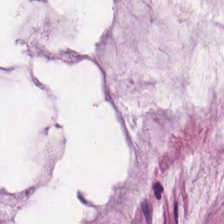H&E-stained section; the field shows mucin.
